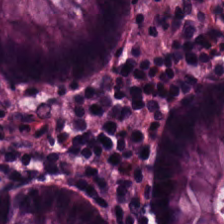Hematoxylin and eosin — Tissue class = normal colon mucosa.
